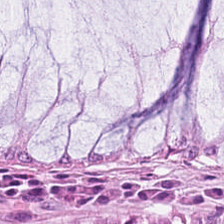Hematoxylin and eosin; formalin-fixed paraffin-embedded section — Impression → non-neoplastic colon mucosa.
